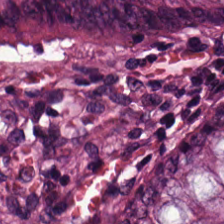The tissue here is normal colonic mucosa.
